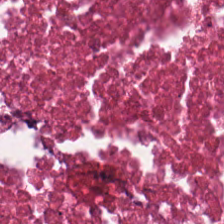Hematoxylin-and-eosin stained section · 224×224 pixel tile. The predominant tissue is cellular debris.
